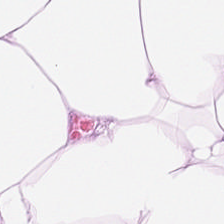WSI patch. Formalin-fixed paraffin-embedded section. H&E stain. Adipocytes.
